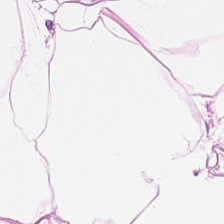{"tissue_type": "fat tissue"}
